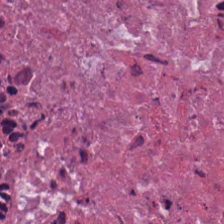Q: Identify the tissue.
A: The field shows cellular debris.
